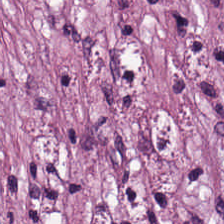Hematoxylin-and-eosin stained section.
Tissue — tumor-associated stroma.
